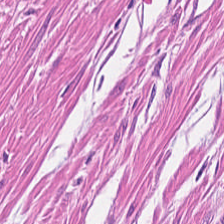H&E-stained tissue section showing smooth muscle.
